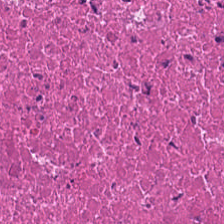H&E.
Tissue: necrotic debris.
